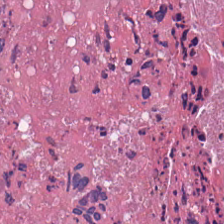H&E — {"tissue_type": "cellular debris"}
